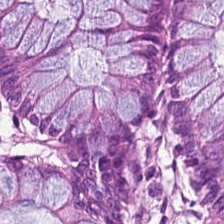H&E — benign colonic mucosa.
